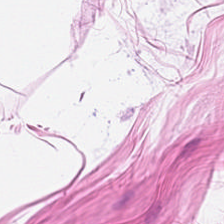H&E. This field is adipose tissue.
